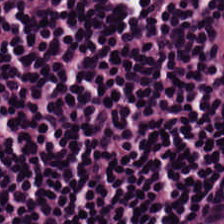H&E stain. 0.5 µm per pixel. 224×224 px patch. Showing lymphocytic infiltrate.
